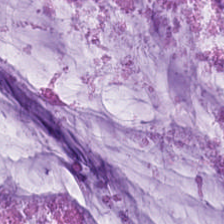Predominantly mucin.
